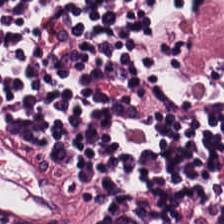Stain: hematoxylin-and-eosin stained section.
Tissue class: lymphocytes.
